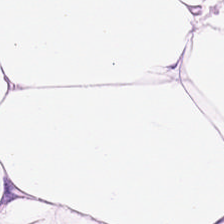Hematoxylin and eosin — Adipose tissue.
